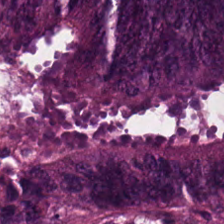H&E patch showing colorectal adenocarcinoma.
